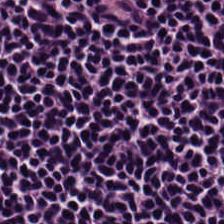H&E-stained tissue section. FFPE tissue section.
{"tissue_type": "lymphocytic infiltrate"}
